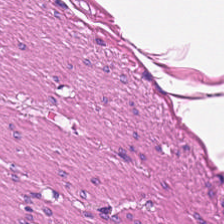Hematoxylin-and-eosin stained section. Showing muscularis.
